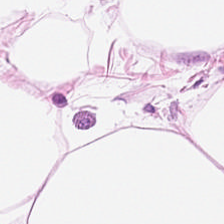H&E — This field is fat tissue.
